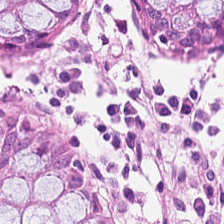H&E.
Q: Identify the tissue.
A: Non-neoplastic colon mucosa.
